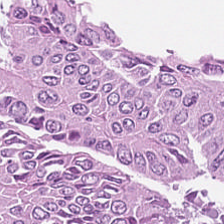H&E-stained tissue section — The tissue here is malignant epithelium.
